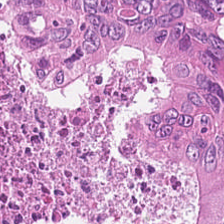H&E — malignant epithelium.
